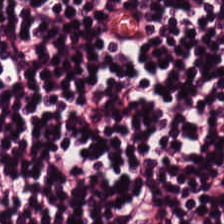Hematoxylin and eosin — Lymphoid infiltrate.
